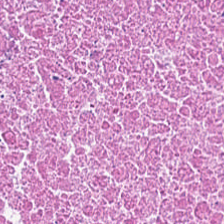H&E-stained tissue section; FFPE.
The predominant tissue is debris.
